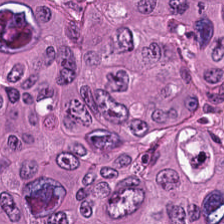Showing adenocarcinoma.
